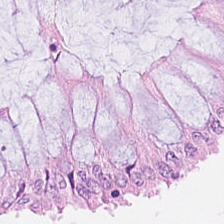Tissue type = benign colonic mucosa.
